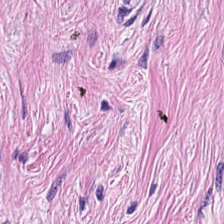Stain: H&E-stained tissue section.
Classification: tumor-associated stroma.
